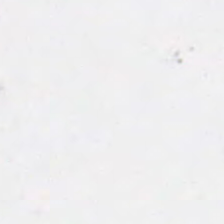Hematoxylin-and-eosin stained section. This field is background (no tissue).
